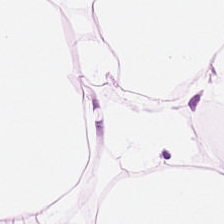Q: What does this patch show?
A: The field shows fat tissue.
